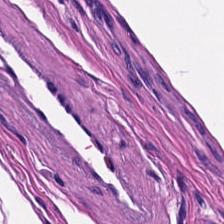Tissue = smooth-muscle tissue.
